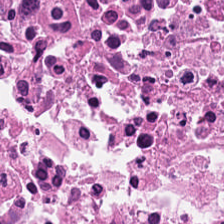Tissue: necrotic debris.
